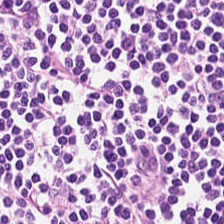H&E-stained tissue section; FFPE tissue section — {"tissue_type": "lymphocytes"}
